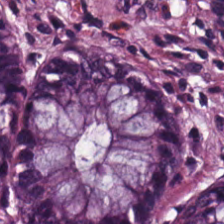Stain: H&E-stained tissue section.
Predominant tissue: normal colonic mucosa.
